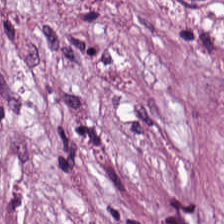H&E stain. Histology — tumor stroma.
